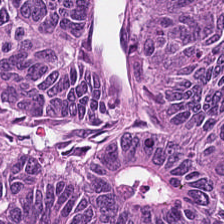Stain: H&E stain.
Tile size: 224×224 pixel tile.
Classification: malignant epithelium.
